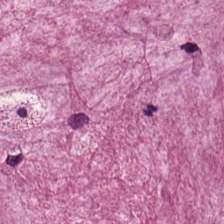Hematoxylin-and-eosin stained section — The tissue here is mucin.
